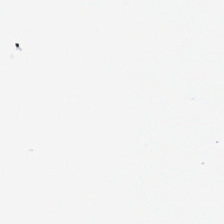Hematoxylin and eosin. 0.5 microns per pixel.
Empty field — no tissue.
